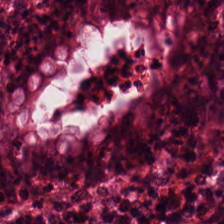Stain: hematoxylin-and-eosin stained section.
Tissue type: normal colonic mucosa.
